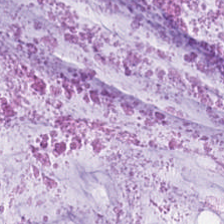H&E. The predominant tissue is mucus.
